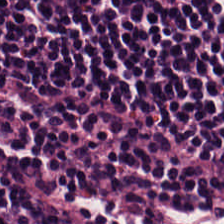H&E — The tissue here is lymphocytes.
